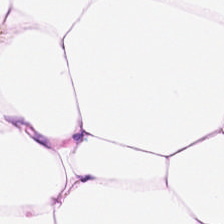Hematoxylin-and-eosin stained section · 224×224 px patch. Tissue — adipose tissue.
